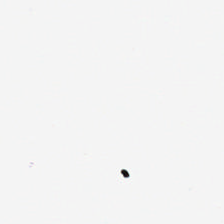224×224 px tile. Hematoxylin-and-eosin stained section. Background — no tissue in this field.
